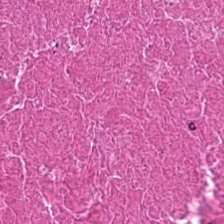H&E-stained tissue section.
The predominant tissue is necrotic debris.
